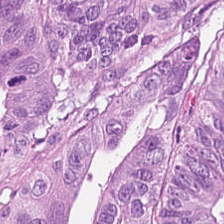Hematoxylin-and-eosin section: colorectal adenocarcinoma.
